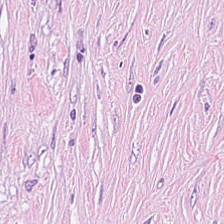Q: What is shown here?
A: This is cancer-associated stroma.
